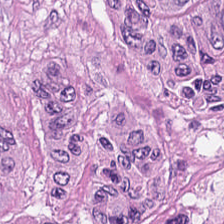Brightfield · H&E-stained tissue section. Predominant tissue: tumor epithelium.
